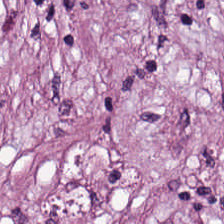H&E-stained tissue section; 224×224 px patch.
Q: Identify the tissue.
A: The field shows desmoplastic stroma.
